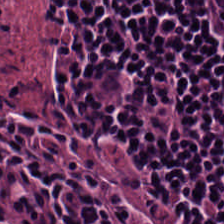H&E · 0.5 µm/px. Showing lymphocytic infiltrate.
